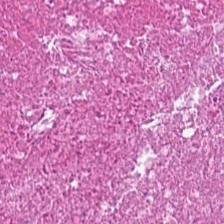Showing cellular debris.
